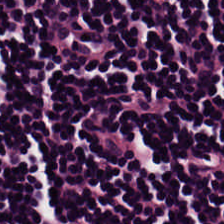Hematoxylin and eosin — Q: Identify the tissue.
A: Lymphocytic infiltrate.
